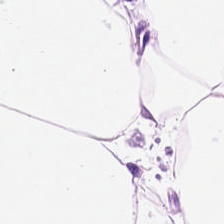H&E — Classification — adipose tissue.
